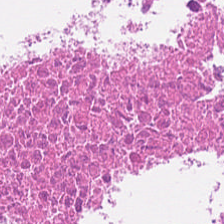WSI patch. Hematoxylin-and-eosin stained section.
Necrotic debris.
